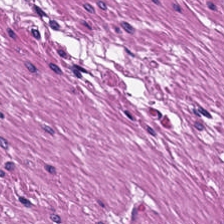H&E. 0.5 microns per pixel — Q: Identify the tissue.
A: This is smooth-muscle tissue.
